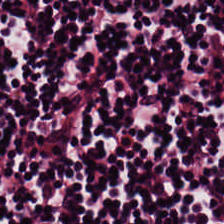Tissue class = lymphoid infiltrate.
